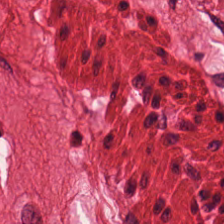H&E stain — This patch shows smooth-muscle tissue.
